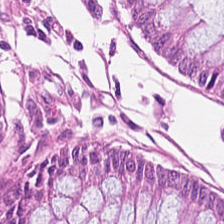Whole-slide-image patch; H&E; 224×224 px tile.
Impression — normal colon mucosa.
